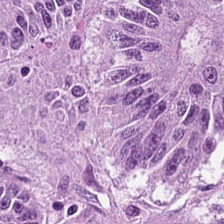Hematoxylin and eosin. Predominantly adenocarcinoma.
